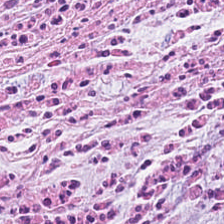Hematoxylin and eosin.
Showing desmoplastic stroma.
